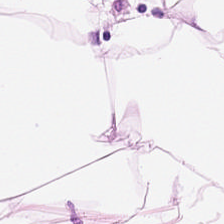Hematoxylin-and-eosin stained section. Tissue type = adipocytes.
